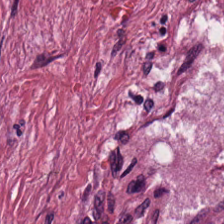H&E patch showing tumor stroma.
